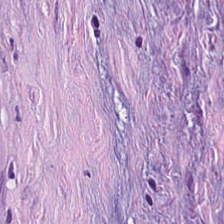H&E patch showing tumor-associated stroma.
